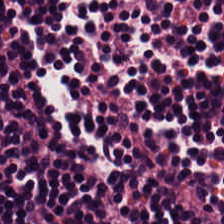H&E. This field is lymphocyte aggregate.
